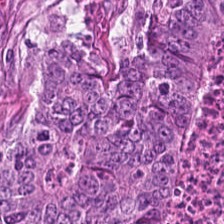FFPE; H&E-stained tissue section. Q: Identify the tissue.
A: This is malignant epithelium.
